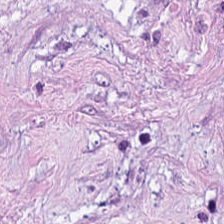Histology → tumor-associated stroma.
